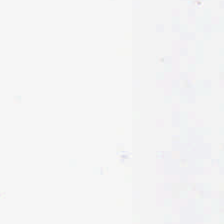H&E. Impression → no tissue.
